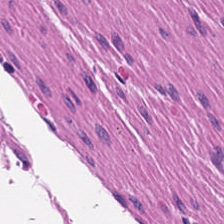Q: What tissue is shown?
A: It is smooth muscle.
